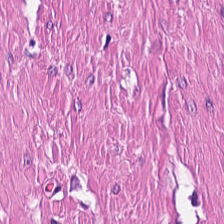The tissue is smooth-muscle tissue.
